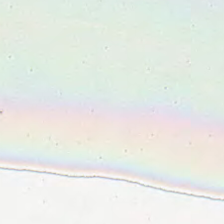The classification is empty background.
